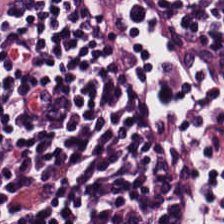Showing lymphocytes.
